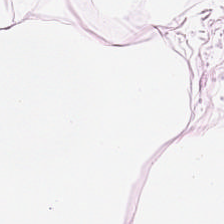H&E stain · brightfield microscopy · 0.5 µm per pixel. Q: What is shown in this field?
A: The field shows adipose tissue.
